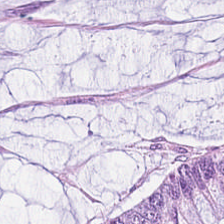Q: What is shown in this field?
A: It is mucus.
